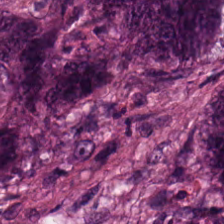Brightfield; H&E stain — The predominant tissue is tumor epithelium.
